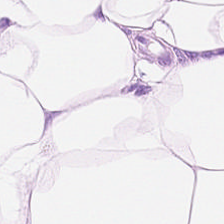H&E stain; 224×224 pixel tile; whole-slide-image patch. Finding → fat tissue.
